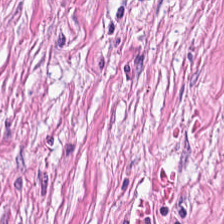H&E-stained tissue section; FFPE. Histology — tumor-associated stroma.
